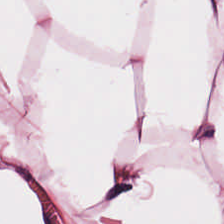20× equivalent magnification. Hematoxylin-and-eosin stained section — Tissue type — adipocytes.
